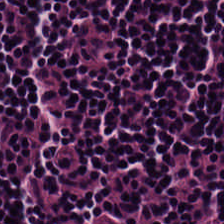Hematoxylin and eosin.
This patch shows lymphoid infiltrate.
